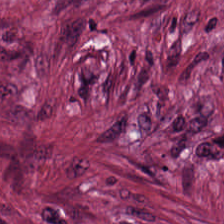Hematoxylin-and-eosin stained section. 0.5 µm per pixel. This field is desmoplastic stroma.
